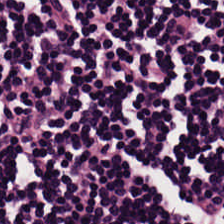Stain: H&E.
Tissue: lymphocyte aggregate.
